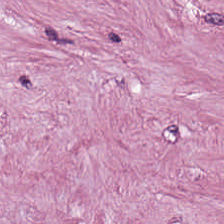Hematoxylin-and-eosin stained section; 224×224 pixel tile; formalin-fixed paraffin-embedded section. Q: What is shown here?
A: It is cancer-associated stroma.
